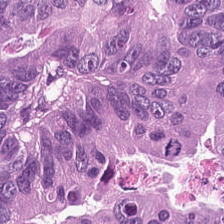H&E stain. Tissue class = tumor epithelium.
